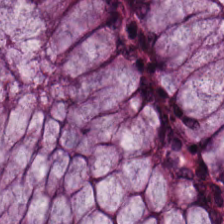Hematoxylin and eosin — Predominantly benign colonic mucosa.
